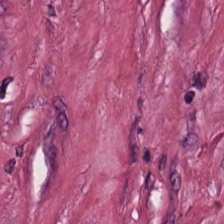Hematoxylin-and-eosin stained section. {"tissue_type": "tumor-associated stroma"}
